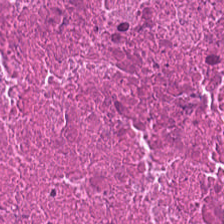WSI patch; hematoxylin-and-eosin stained section; 0.5 µm per pixel — Q: What type of tissue is this?
A: Cellular debris.
